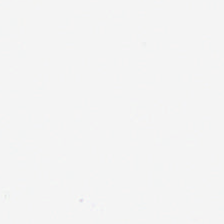Stain: H&E-stained tissue section.
Classification: background (no tissue).
